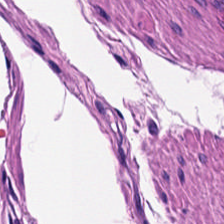H&E-stained tissue section. This field is smooth-muscle tissue.
